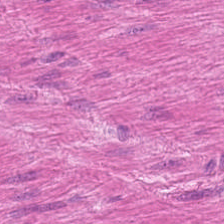Q: Classify this patch.
A: It is muscularis.
